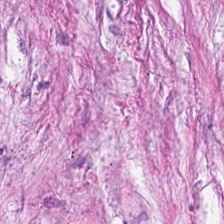Brightfield microscopy; H&E stain. {"tissue_type": "cancer-associated stroma"}
